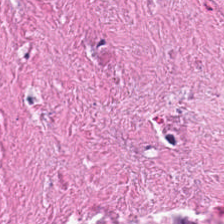Hematoxylin-and-eosin stained section. Tissue: debris.
